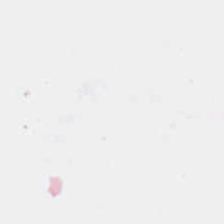Hematoxylin-and-eosin stained section · formalin-fixed paraffin-embedded section — Q: Classify this patch.
A: The field shows no tissue.
